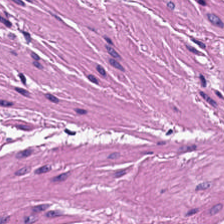Stain: H&E stain.
Tissue class: muscularis.
